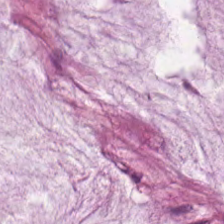FFPE tissue section; H&E.
Predominant tissue = mucus.
